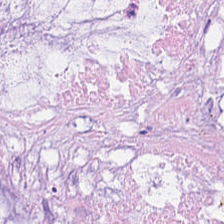20× equivalent magnification; H&E. Predominantly mucus.
